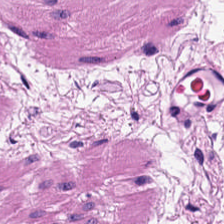H&E; formalin-fixed paraffin-embedded section; 224×224 px patch — The tissue type is muscularis.
